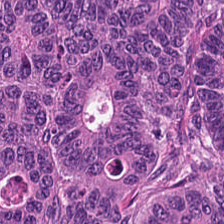H&E-stained tissue section.
Q: What tissue type is shown here?
A: The field shows colorectal adenocarcinoma epithelium.
